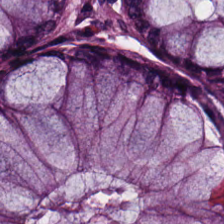Hematoxylin and eosin. 224×224 px tile — The tissue class is normal colon mucosa.
